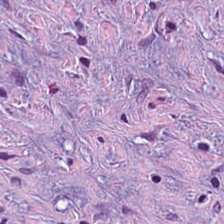H&E stain — Tissue — cancer-associated stroma.
